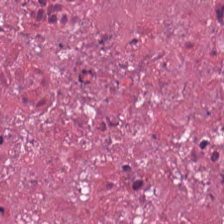Q: Identify the tissue.
A: Necrotic debris.
